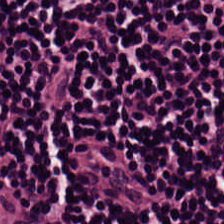H&E stain. Q: Classify this patch.
A: Lymphoid infiltrate.
